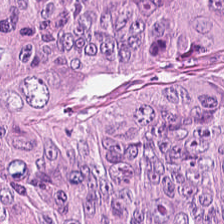Hematoxylin-and-eosin stained section.
The predominant tissue is colorectal adenocarcinoma epithelium.
